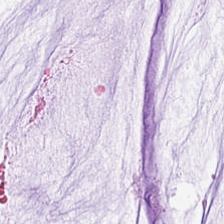H&E — Tissue = mucin.
